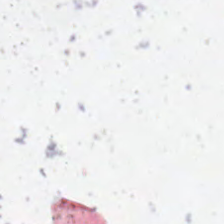224×224 pixel tile; H&E stain — Q: Classify this patch.
A: It is background (no tissue).
